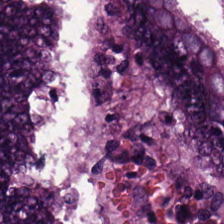H&E stain — Tissue class = colorectal adenocarcinoma.
